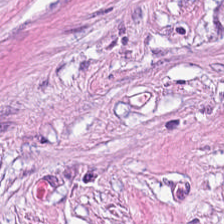WSI patch; 0.5 µm/px; H&E stain. Q: Classify this patch.
A: The field shows desmoplastic stroma.
